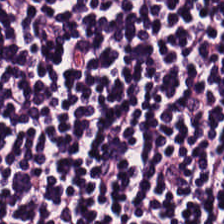Hematoxylin-and-eosin stained section. Brightfield. 224×224 pixel tile — Finding → lymphocytes.
